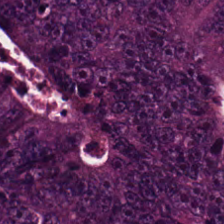224×224 px patch; hematoxylin and eosin. Tissue type: colorectal adenocarcinoma epithelium.
